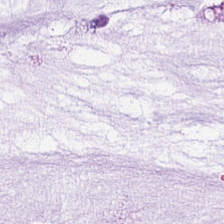H&E-stained tissue section; 224×224 px tile — Q: What is shown in this field?
A: It is mucus.
